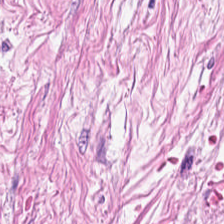Hematoxylin and eosin — The predominant tissue is cancer-associated stroma.
